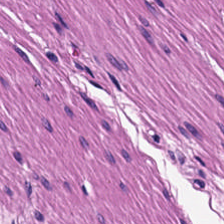Hematoxylin and eosin — This patch shows smooth-muscle tissue.
